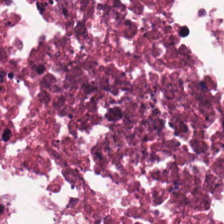H&E-stained tissue section. Formalin-fixed paraffin-embedded section. Classification = cellular debris.
